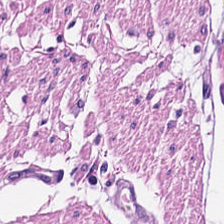H&E — This field is smooth muscle.
